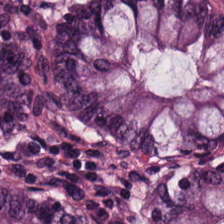Brightfield · H&E stain.
Finding → non-neoplastic colon mucosa.
